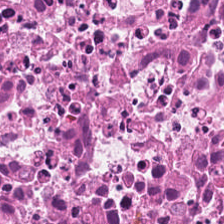The tissue is cellular debris.
